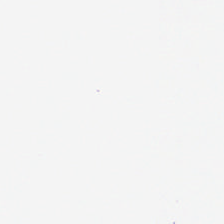Field content: background (no tissue).
